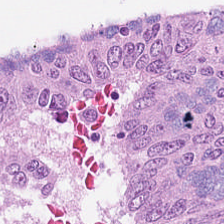Stain: hematoxylin-and-eosin stained section.
Tissue: colorectal adenocarcinoma epithelium.
